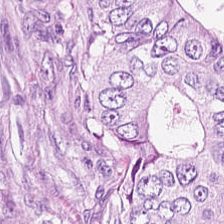Hematoxylin and eosin — Tumor epithelium.
